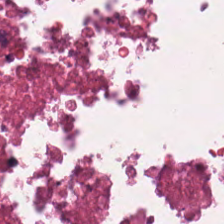H&E-stained tissue section.
The predominant tissue is debris.
